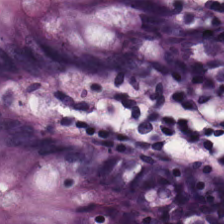Formalin-fixed paraffin-embedded section; 20× equivalent magnification; hematoxylin-and-eosin stained section.
This patch shows non-neoplastic colon mucosa.
